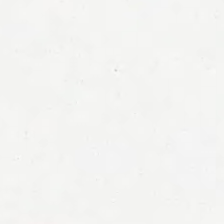H&E. FFPE. 0.5 microns per pixel. Q: What is shown here?
A: This is background.
